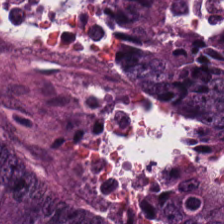H&E-stained tissue section. Brightfield microscopy. 0.5 microns per pixel.
Q: What tissue is shown?
A: The field shows colorectal adenocarcinoma.
